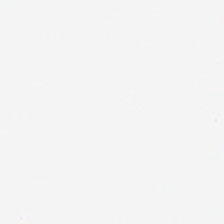Hematoxylin and eosin — Finding → empty background.
